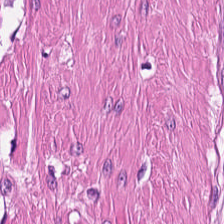Stain: hematoxylin and eosin.
Preparation: FFPE tissue section.
Acquisition: brightfield microscopy.
Classification: smooth muscle.
